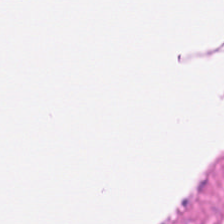H&E stain.
Finding → muscularis.
